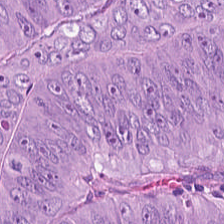Classification — malignant epithelium.
